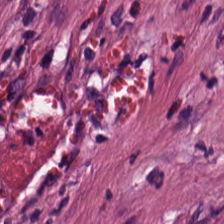224×224 px patch; hematoxylin-and-eosin stained section. Predominant tissue = tumor stroma.
